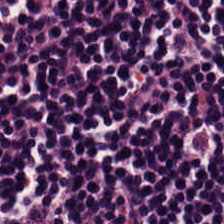224×224 px tile. H&E stain.
This patch shows lymphocytic infiltrate.
